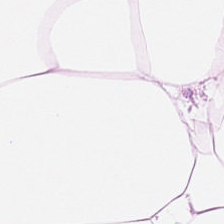This patch shows adipocytes.
